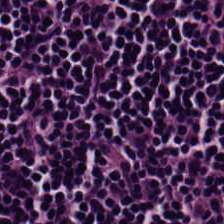H&E-stained tissue section. Q: What tissue type is shown here?
A: It is lymphocytic infiltrate.
